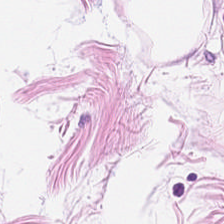Finding → adipose tissue.
